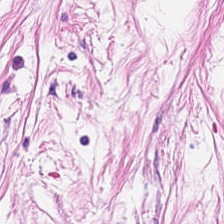Hematoxylin and eosin.
Histology — cancer-associated stroma.
